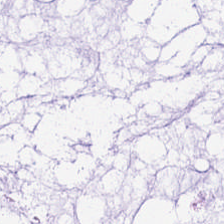H&E stain — Q: What is shown in this field?
A: It is mucus.
